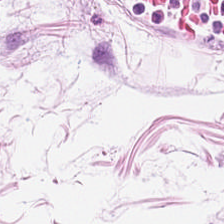FFPE. Hematoxylin and eosin. Tissue class — adipose.
